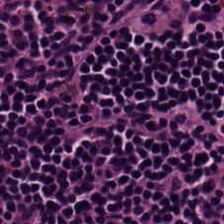Hematoxylin-and-eosin stained section. Brightfield. This patch shows lymphocytic infiltrate.
